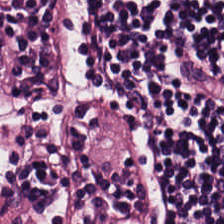Brightfield microscopy · 0.5 µm/px · H&E stain.
Tissue: lymphocyte aggregate.
